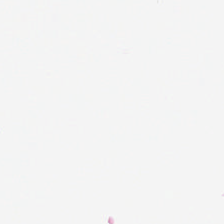H&E-stained tissue section — This patch shows background.
